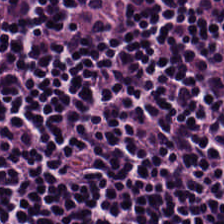Histology → lymphocyte aggregate.
